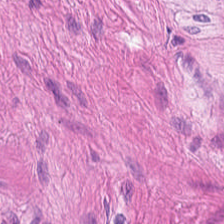H&E-stained tissue section showing muscularis.
